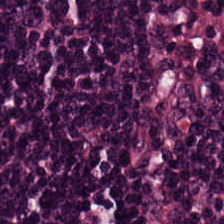Formalin-fixed paraffin-embedded section; hematoxylin and eosin; 224×224 px tile — This field is lymphocytic infiltrate.
